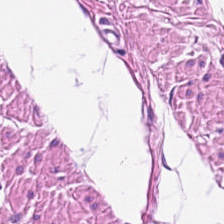H&E stain — The predominant tissue is muscularis.
